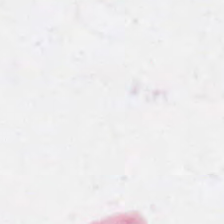H&E-stained tissue section. Brightfield microscopy. FFPE tissue section.
Q: Classify this patch.
A: Background.
